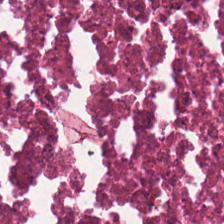Hematoxylin-and-eosin stained section.
Q: What tissue type is shown here?
A: The field shows necrotic debris.
